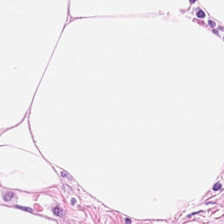FFPE tissue section. H&E-stained tissue section. 0.5 microns per pixel. This field is adipose tissue.
